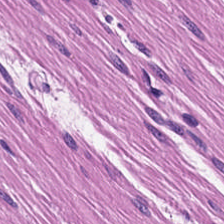Stain: H&E.
Tissue class: muscularis.
